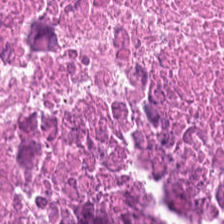H&E · whole-slide-image patch · FFPE.
Q: What tissue type is shown here?
A: The field shows necrotic debris.
